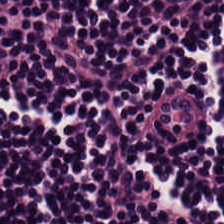The tissue is lymphocyte aggregate.
